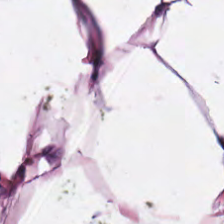Hematoxylin-and-eosin section: fat tissue.
